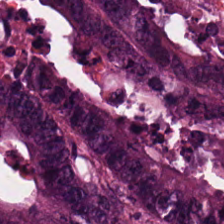0.5 µm per pixel · H&E stain · WSI patch. Finding — colorectal adenocarcinoma epithelium.
